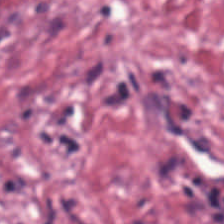H&E-stained section; the field shows tumor stroma.
